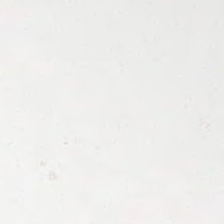H&E. 0.5 microns per pixel. FFPE. The content is background (no tissue).
